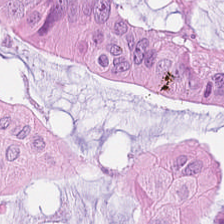Showing colorectal adenocarcinoma epithelium.
